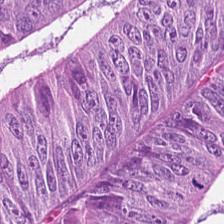H&E.
Q: What is shown here?
A: The field shows tumor epithelium.
